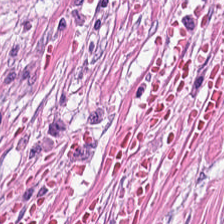H&E.
This patch shows tumor-associated stroma.
